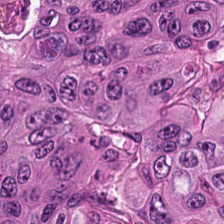Hematoxylin and eosin. Showing tumor epithelium.
